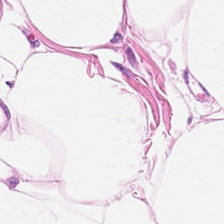Brightfield; hematoxylin and eosin. Impression → fat tissue.
